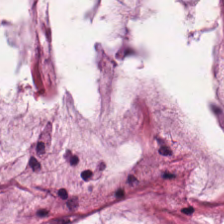H&E.
Predominant tissue — mucin.
